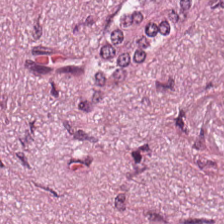Hematoxylin and eosin · brightfield — This patch shows tumor-associated stroma.
